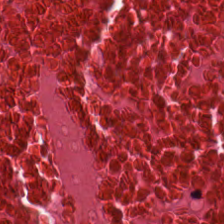Stain: hematoxylin and eosin.
Tissue class: necrotic debris.
